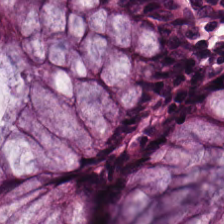WSI patch; H&E stain — Classification = non-neoplastic colon mucosa.
